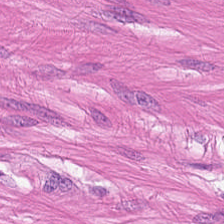Finding — smooth muscle.
